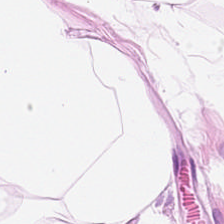H&E-stained tissue section — Tissue class = adipose.
